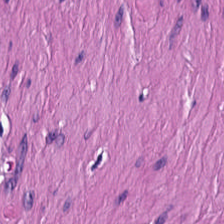H&E. Whole-slide-image patch.
Classification = muscularis.
